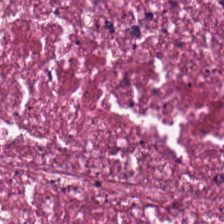224×224 pixel tile · H&E stain — {"tissue_type": "necrotic debris"}
